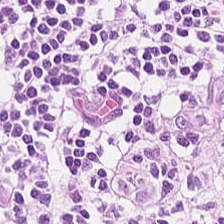Stain: hematoxylin and eosin.
Predominant tissue: lymphoid infiltrate.
